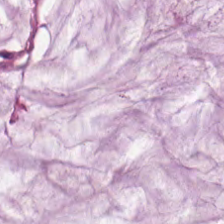FFPE tissue section. H&E-stained tissue section. Predominantly mucus.
